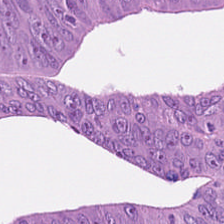H&E stain — Q: Classify this patch.
A: It is tumor epithelium.
